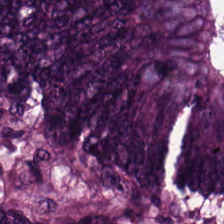Q: Identify the tissue.
A: It is tumor epithelium.
